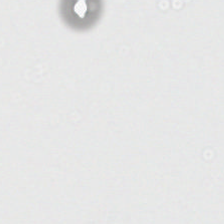This patch shows background.
